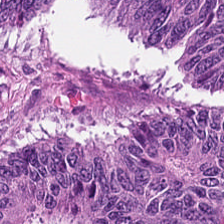H&E-stained tissue section.
Showing tumor epithelium.
